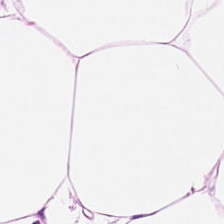Q: What is the predominant tissue type?
A: The field shows adipocytes.
